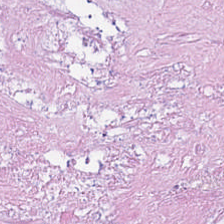H&E — The tissue is cellular debris.
